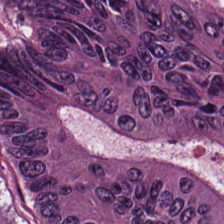Hematoxylin and eosin.
Q: Classify this patch.
A: This is tumor epithelium.
